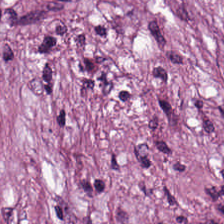0.5 µm/px · H&E. The predominant tissue is tumor stroma.
